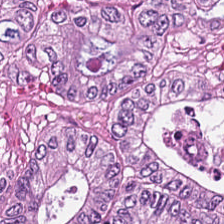H&E stain.
Showing malignant epithelium.
